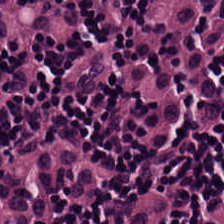Stain: H&E.
Acquisition: brightfield.
Tissue class: lymphocytes.
